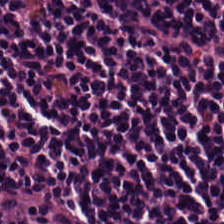224×224 px tile. H&E. Predominantly lymphocyte aggregate.
